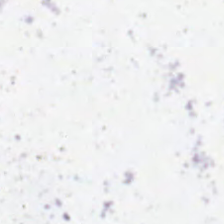H&E — Content — no tissue.
